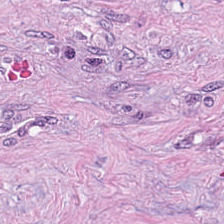H&E. Desmoplastic stroma.
